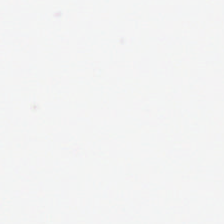Classification — empty background.
